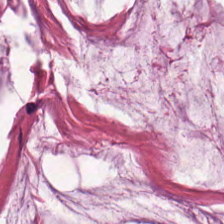Stain: H&E.
Tissue: mucin.
